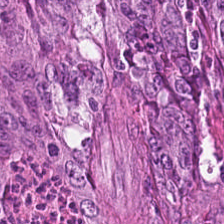Classification — malignant epithelium.
